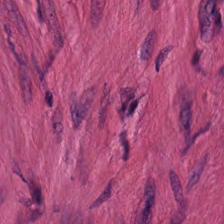224×224 px tile; 20× equivalent magnification; hematoxylin-and-eosin stained section.
This patch shows smooth muscle.
